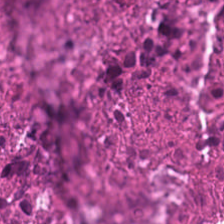H&E-stained tissue section. Finding → necrotic debris.
